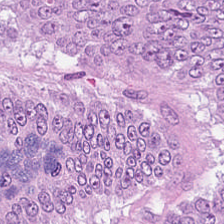Stain: hematoxylin-and-eosin stained section.
Preparation: formalin-fixed paraffin-embedded section.
Acquisition: brightfield.
Tissue: colorectal adenocarcinoma.
